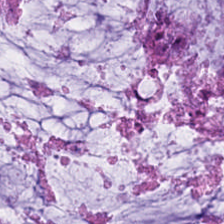20× equivalent magnification · H&E-stained tissue section — Mucus.
